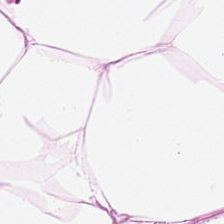H&E-stained tissue section. Finding — adipose.
